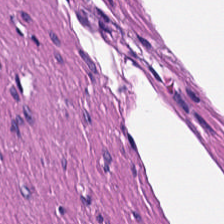Stain: H&E stain.
Preparation: FFPE.
Tissue class: smooth-muscle tissue.
